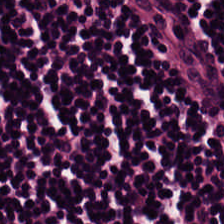Hematoxylin and eosin. Q: Classify this patch.
A: Lymphocyte aggregate.
